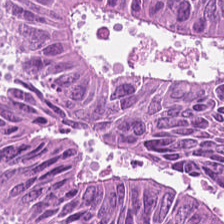Tissue class — tumor epithelium.
